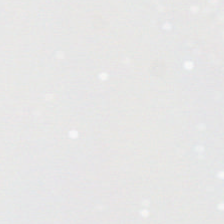FFPE; hematoxylin and eosin.
Q: What does this patch show?
A: This is background.
